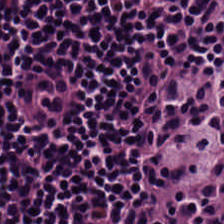H&E stain; 224×224 pixel tile — Lymphocyte aggregate.
